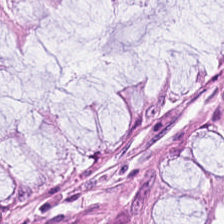Hematoxylin-and-eosin stained section — Finding — non-neoplastic colon mucosa.
